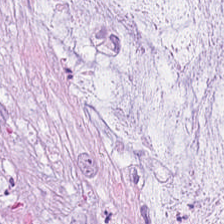Stain: hematoxylin-and-eosin stained section.
Classification: extracellular mucin.
